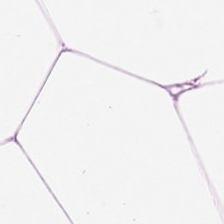20× equivalent magnification. Hematoxylin-and-eosin stained section. This patch shows adipocytes.
